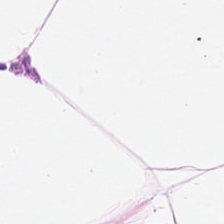H&E-stained tissue section. 0.5 µm/px.
This field is adipocytes.
